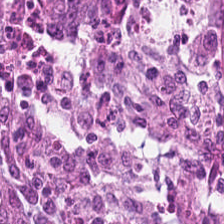Hematoxylin-and-eosin stained section. This field is malignant epithelium.
